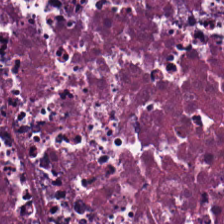The tissue is cellular debris.
